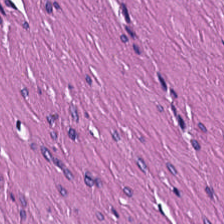H&E stain — Q: What is shown here?
A: This is smooth muscle.
